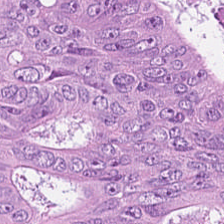Stain: H&E stain.
Resolution: 0.5 microns per pixel.
Classification: colorectal adenocarcinoma.
